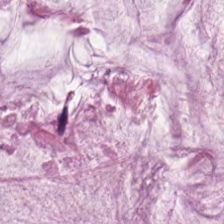224×224 px tile; H&E. Tissue type = mucin.
